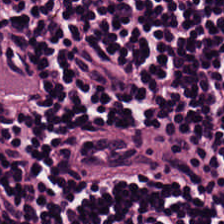Stain: H&E-stained tissue section.
Classification: lymphocytic infiltrate.
